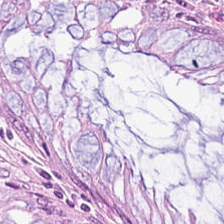H&E-stained tissue section — This patch shows normal colon mucosa.
